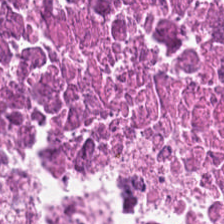H&E · FFPE · brightfield microscopy.
Necrotic debris.
